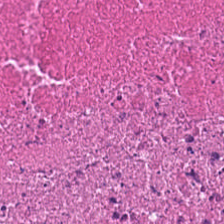Formalin-fixed paraffin-embedded section · hematoxylin-and-eosin stained section · 0.5 µm per pixel. The predominant tissue is necrotic debris.
